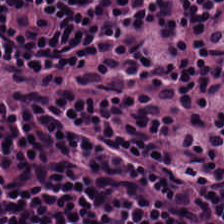H&E · whole-slide-image patch · 0.5 microns per pixel. The predominant tissue is lymphocytic infiltrate.
